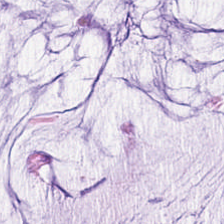FFPE · H&E-stained tissue section · brightfield.
Finding — extracellular mucin.
